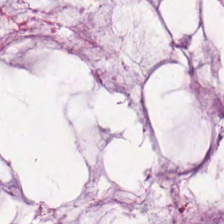Q: What tissue type is shown here?
A: Mucus.
